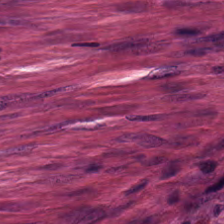Showing tumor-associated stroma.
